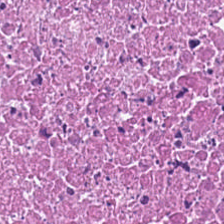Brightfield; 224×224 pixel tile; hematoxylin-and-eosin stained section. Predominantly cellular debris.
